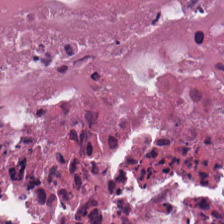Hematoxylin-and-eosin stained section — Q: What is shown in this field?
A: The field shows debris.
